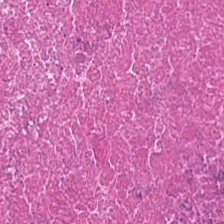Stain: hematoxylin-and-eosin stained section.
Acquisition: WSI patch.
Preparation: FFPE.
Tissue type: necrotic debris.
